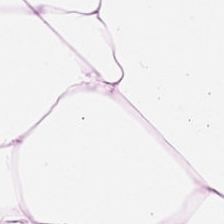Brightfield microscopy; hematoxylin and eosin — Finding → fat tissue.
